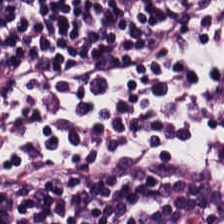H&E stain; FFPE tissue section — Showing lymphoid infiltrate.
